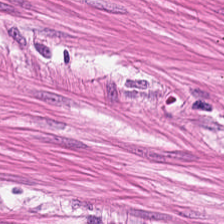WSI patch. H&E stain. This field is muscularis.
